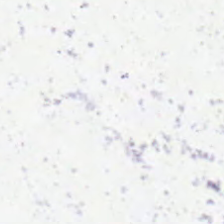H&E-stained tissue section; 224×224 px tile — Q: What does this patch show?
A: It is empty background.
